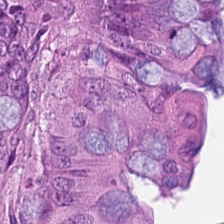Hematoxylin-and-eosin stained section. Brightfield microscopy. 0.5 µm/px — This field is colorectal adenocarcinoma.
